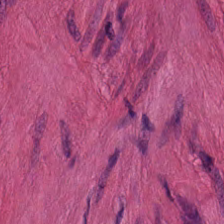Tissue — smooth muscle.
